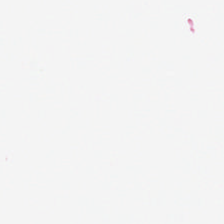Background (no tissue).
